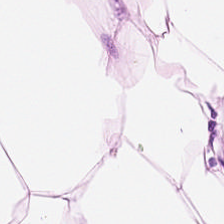Stain: hematoxylin-and-eosin stained section.
Tissue type: adipose tissue.
